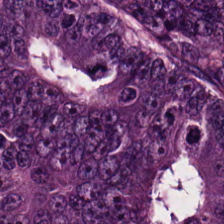FFPE tissue section; H&E-stained tissue section.
{"tissue_type": "adenocarcinoma"}
